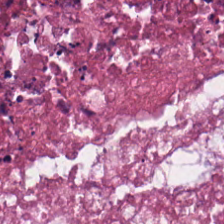Hematoxylin and eosin — Tissue: necrotic debris.
